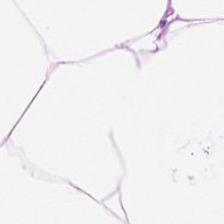H&E-stained tissue section; 20× equivalent magnification.
This patch shows adipocytes.
